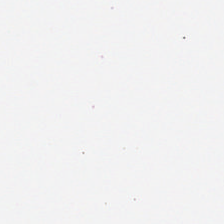FFPE · 20× equivalent magnification · H&E stain — Classification — no tissue.
